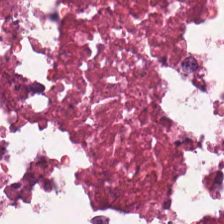224×224 px patch · 0.5 microns per pixel · hematoxylin-and-eosin stained section.
This field is debris.
